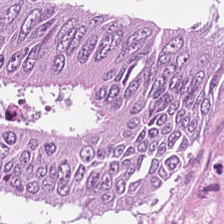Brightfield microscopy · H&E-stained tissue section · formalin-fixed paraffin-embedded section — Q: What does this patch show?
A: This is colorectal adenocarcinoma.
